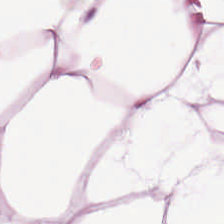Adipose tissue.
